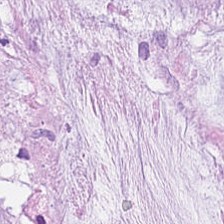This field is mucin.
